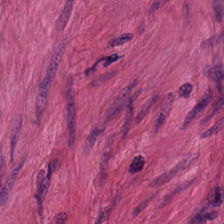Hematoxylin-and-eosin section: smooth-muscle tissue.
